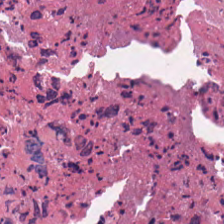Hematoxylin and eosin. The predominant tissue is debris.
